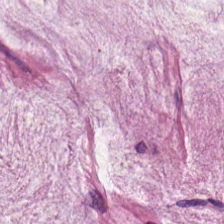Stain: H&E.
Tissue: mucus.
